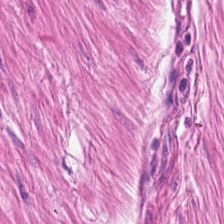Stain: H&E-stained tissue section.
Resolution: 0.5 µm/px.
Preparation: FFPE.
Tissue type: muscularis.
